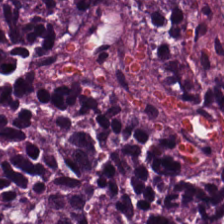Q: What tissue is shown?
A: The field shows lymphocytes.
